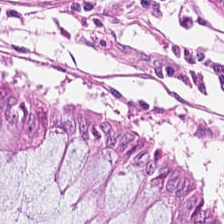Predominantly non-neoplastic colon mucosa.
